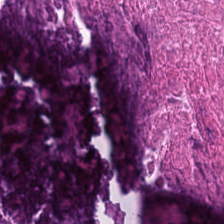Formalin-fixed paraffin-embedded section. H&E. Q: What tissue is shown?
A: It is debris.
